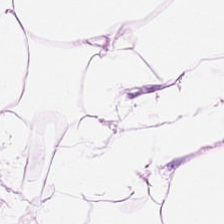WSI patch; hematoxylin and eosin; 20× equivalent magnification. Tissue: adipose.
